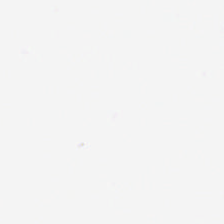H&E.
Classification — no tissue.
